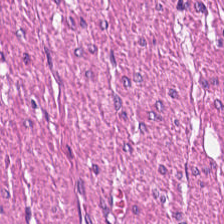This field is smooth muscle.
